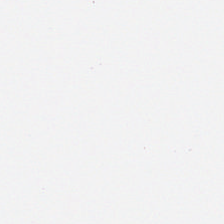0.5 microns per pixel; formalin-fixed paraffin-embedded section; H&E — Content: no tissue.
